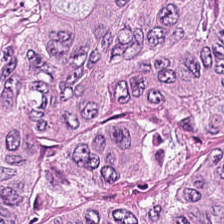H&E-stained tissue section. Formalin-fixed paraffin-embedded section.
Impression — colorectal adenocarcinoma.
